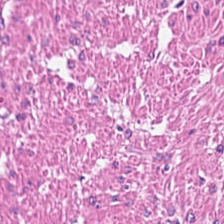H&E stain. This field is smooth-muscle tissue.
